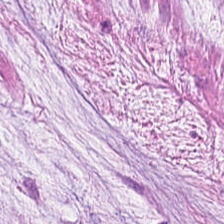H&E stain; 224×224 px patch.
The predominant tissue is mucin.
